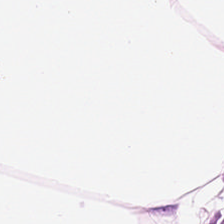224×224 px tile. Hematoxylin and eosin. 0.5 microns per pixel — Predominantly adipose tissue.
